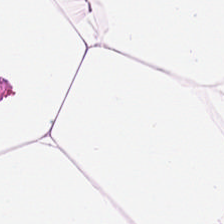H&E-stained tissue section. Impression → adipose tissue.
